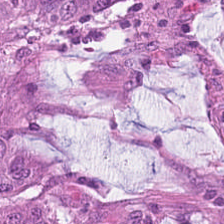Hematoxylin-and-eosin stained section.
The predominant tissue is colorectal adenocarcinoma.
